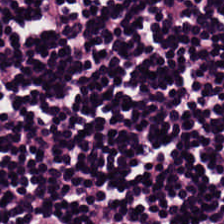H&E-stained tissue section · WSI patch. This field is lymphocytic infiltrate.
